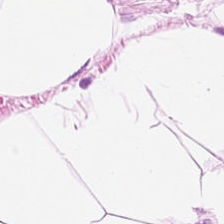FFPE. Hematoxylin-and-eosin stained section — Fat tissue.
